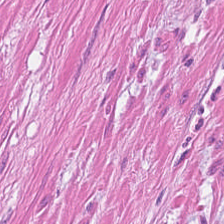Brightfield microscopy. FFPE. H&E stain.
The predominant tissue is muscularis.
